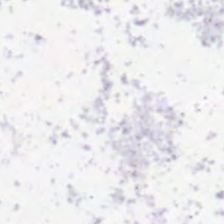H&E-stained tissue section. 0.5 µm per pixel. FFPE tissue section. No tissue present; background only.
